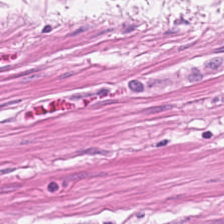H&E-stained tissue section. 224×224 pixel tile. 20× equivalent magnification — The tissue here is muscularis.
